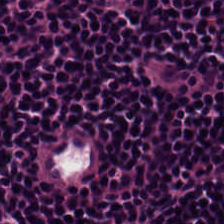Tissue type — lymphoid infiltrate.
